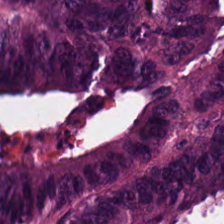The predominant tissue is colorectal adenocarcinoma.
